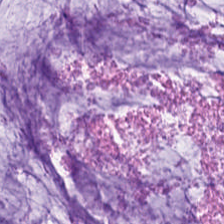H&E-stained tissue section. Tissue — mucus.
